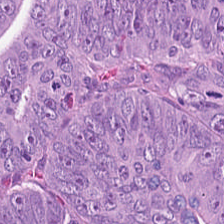The predominant tissue is malignant epithelium.
